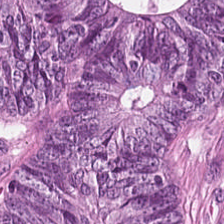Stain: H&E-stained tissue section.
Tissue class: malignant epithelium.
